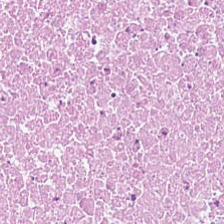Hematoxylin-and-eosin stained section.
The tissue here is cellular debris.
